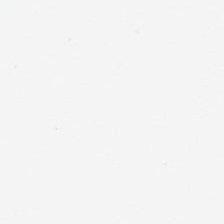Background.
